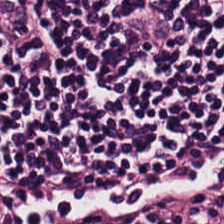H&E; 0.5 µm per pixel — Predominantly lymphoid infiltrate.
